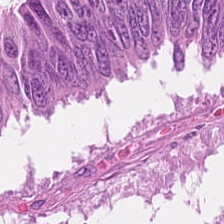Hematoxylin and eosin — {"tissue_type": "colorectal adenocarcinoma epithelium"}
